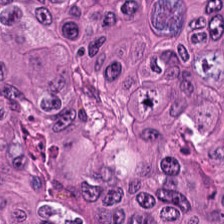The predominant tissue is adenocarcinoma.
